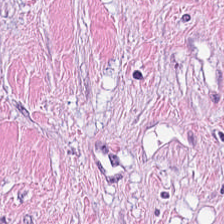Hematoxylin-and-eosin stained section. Impression → cancer-associated stroma.
